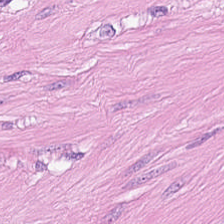Hematoxylin-and-eosin stained section · 224×224 px tile. Tissue: smooth-muscle tissue.
